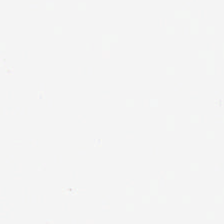Stain: hematoxylin-and-eosin stained section.
Preparation: FFPE tissue section.
Resolution: 20× equivalent magnification.
Content: empty background.
